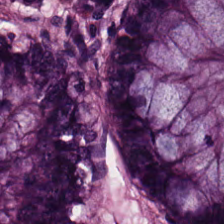Hematoxylin-and-eosin stained section.
Q: Identify the tissue.
A: This is normal colon mucosa.
